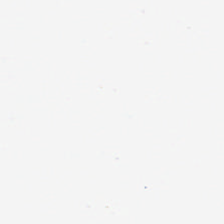H&E-stained tissue section.
Q: What is shown in this field?
A: The field shows background.
